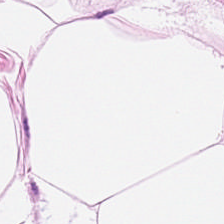Predominant tissue = adipocytes.
